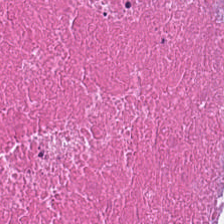0.5 microns per pixel. Hematoxylin-and-eosin stained section. This field is debris.
